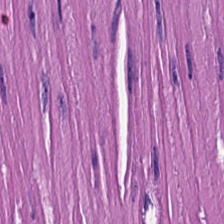Hematoxylin-and-eosin stained section.
Q: Identify the tissue.
A: The field shows muscularis.
